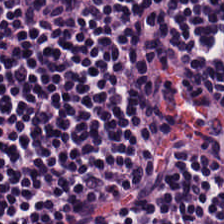Hematoxylin-and-eosin stained section · FFPE tissue section. Impression — lymphocyte aggregate.
